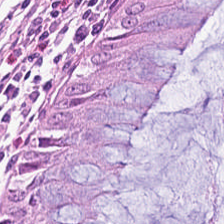Hematoxylin and eosin; 0.5 µm per pixel; FFPE tissue section — Tissue = normal colon mucosa.
